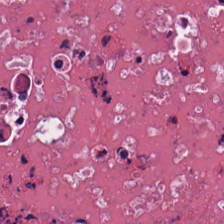Hematoxylin and eosin. Predominant tissue — necrotic debris.
